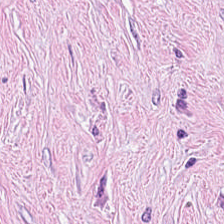H&E-stained tissue section. Classification = tumor-associated stroma.
